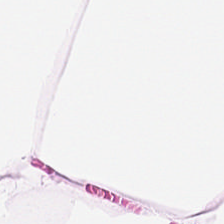Showing fat tissue.
